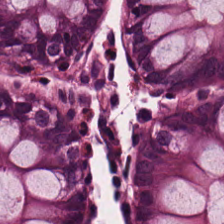H&E stain. 0.5 µm per pixel.
This field is non-neoplastic colon mucosa.
